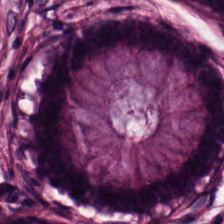H&E stain. Whole-slide-image patch.
Tissue — non-neoplastic colon mucosa.
